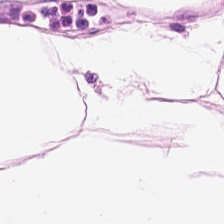Hematoxylin and eosin — This field is adipose tissue.
